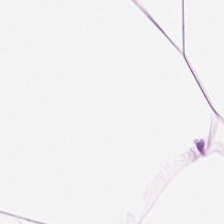H&E stain. 224×224 px tile — {"tissue_type": "adipocytes"}
